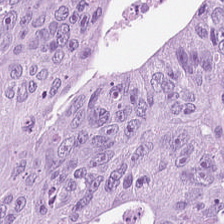H&E stain. 224×224 px patch.
Predominantly tumor epithelium.
